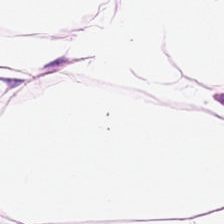Brightfield microscopy; 0.5 µm per pixel; H&E.
Q: What is shown in this field?
A: It is adipose.
